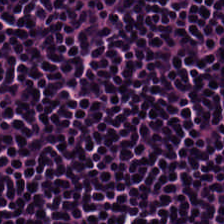FFPE tissue section; 0.5 µm per pixel; H&E stain.
The tissue is lymphocyte aggregate.
